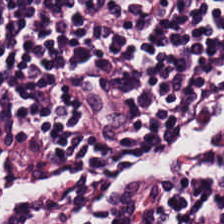224×224 px tile. FFPE. Hematoxylin-and-eosin stained section.
Predominant tissue: lymphocytic infiltrate.
